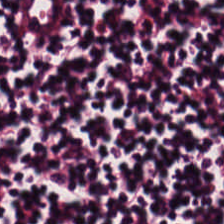Q: What tissue type is shown here?
A: The field shows lymphoid infiltrate.
